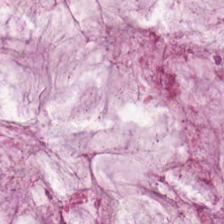Predominantly mucin.
